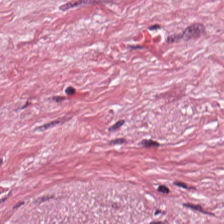Stain: hematoxylin-and-eosin stained section.
Tissue class: tumor-associated stroma.
